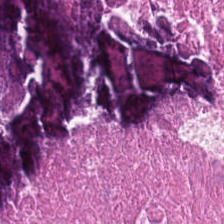H&E; brightfield microscopy — Debris.
